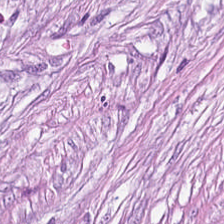FFPE. Hematoxylin-and-eosin stained section. 0.5 µm per pixel.
This field is desmoplastic stroma.
